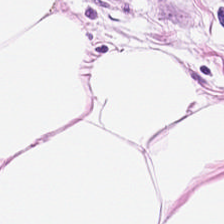FFPE; hematoxylin and eosin — The tissue is adipose tissue.
